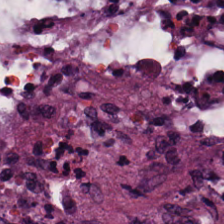Hematoxylin and eosin; FFPE. {"tissue_type": "malignant epithelium"}
